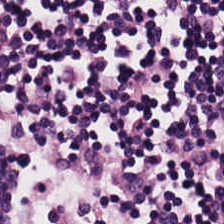Impression → lymphocytic infiltrate.
